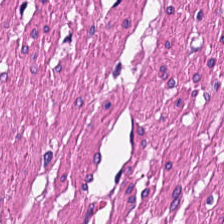This field is smooth-muscle tissue.
